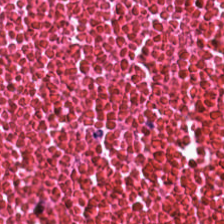224×224 px patch. Hematoxylin and eosin — Tissue class: debris.
